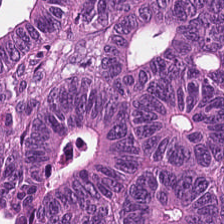20× equivalent magnification · FFPE tissue section · H&E stain — Adenocarcinoma.
